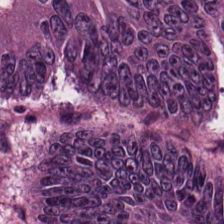Colorectal adenocarcinoma.
